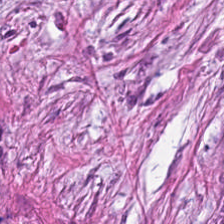The tissue here is desmoplastic stroma.
